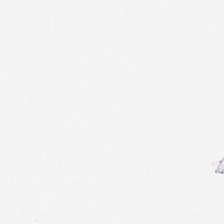The content is background.
